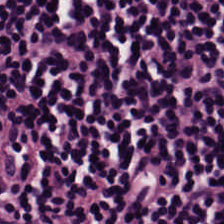224×224 px tile. H&E-stained tissue section. Whole-slide-image patch — Tissue: lymphocyte aggregate.
